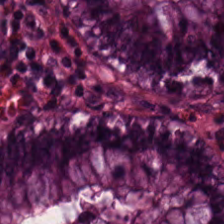20× equivalent magnification. H&E — The tissue class is normal colon mucosa.
